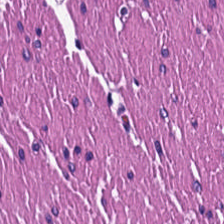This field is smooth muscle.
